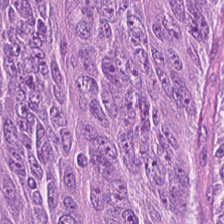Hematoxylin-and-eosin stained section — The predominant tissue is tumor epithelium.
